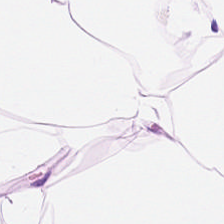Stain: hematoxylin-and-eosin stained section.
Predominant tissue: adipose tissue.
